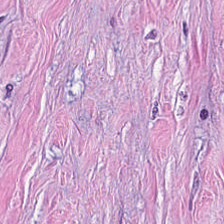H&E — Q: What is the predominant tissue type?
A: It is tumor stroma.
